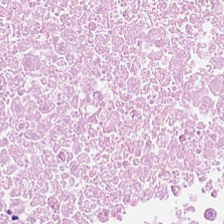H&E — Q: What type of tissue is this?
A: Cellular debris.
